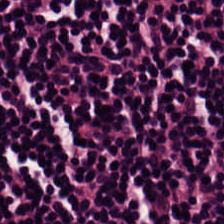20× equivalent magnification; hematoxylin and eosin. Predominant tissue: lymphocyte aggregate.
